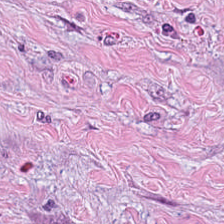This field is tumor stroma.
